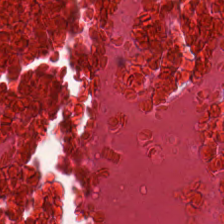Finding — cellular debris.
